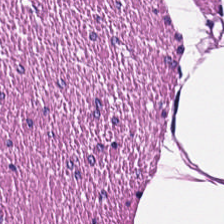{"tissue_type": "muscularis"}
